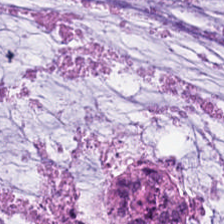Stain: hematoxylin-and-eosin stained section.
Preparation: formalin-fixed paraffin-embedded section.
Resolution: 0.5 microns per pixel.
Tissue type: mucus.
